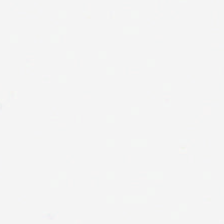H&E — This patch shows empty background.
